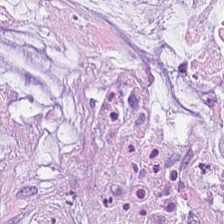Whole-slide-image patch · 224×224 pixel tile · hematoxylin and eosin.
Q: What does this patch show?
A: It is extracellular mucin.
